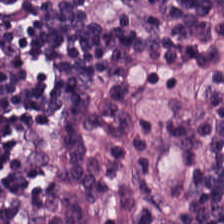Q: What tissue is shown?
A: Lymphocyte aggregate.
